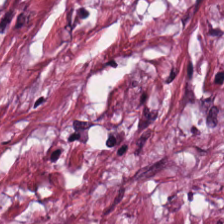H&E-stained section; the field shows cancer-associated stroma.
